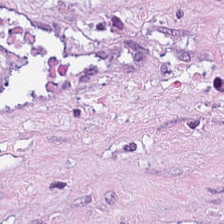H&E; 0.5 microns per pixel; FFPE tissue section. The tissue class is tumor-associated stroma.
